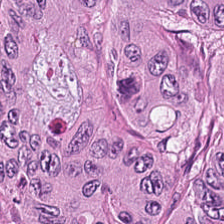Brightfield microscopy. H&E — Finding → malignant epithelium.
